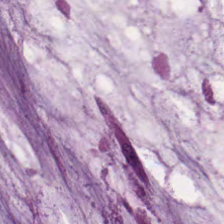Stain: H&E-stained tissue section.
Tile size: 224×224 pixel tile.
Tissue class: extracellular mucin.
